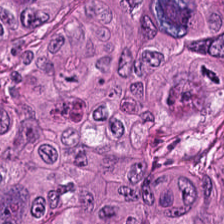Stain: hematoxylin and eosin.
Classification: tumor epithelium.
